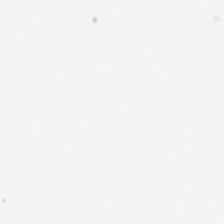20× equivalent magnification · H&E. Classification = no tissue.
